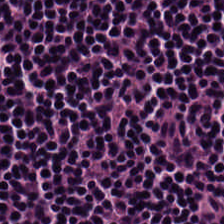The tissue is lymphocytic infiltrate.
